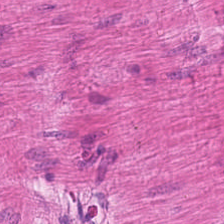H&E-stained section; the field shows smooth muscle.
